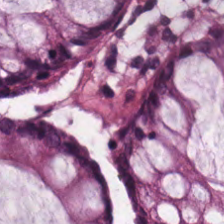WSI patch; H&E-stained tissue section — This field is normal colon mucosa.
